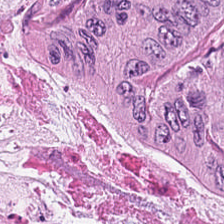H&E stain · 224×224 pixel tile.
Q: What is shown in this field?
A: The field shows adenocarcinoma.
